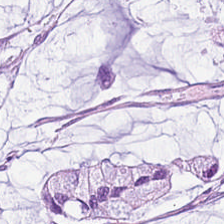Showing mucus.
